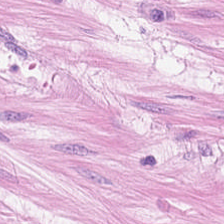Q: What tissue is shown?
A: The field shows smooth-muscle tissue.
